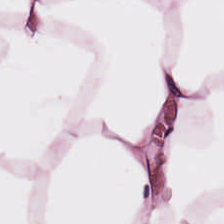224×224 pixel tile. H&E. Tissue type = adipocytes.
